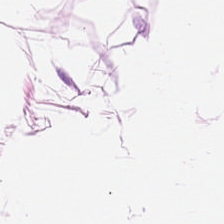224×224 pixel tile; H&E-stained tissue section; brightfield. Q: What tissue is shown?
A: This is adipocytes.
